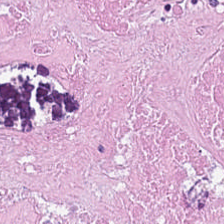0.5 µm per pixel · 224×224 px tile · hematoxylin and eosin.
The tissue is cellular debris.
